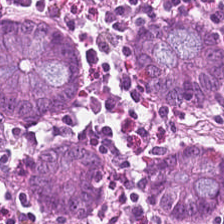The classification is non-neoplastic colon mucosa.
